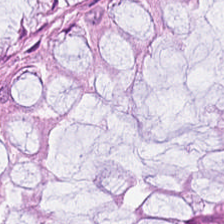{"tissue_type": "non-neoplastic colon mucosa"}
